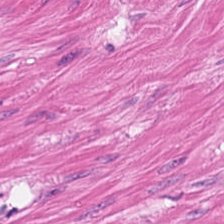Hematoxylin-and-eosin stained section.
Classification: smooth-muscle tissue.
